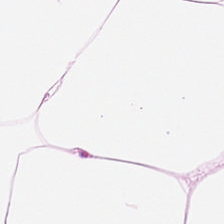H&E — Showing adipose.
